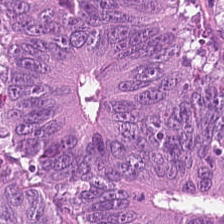H&E stain. This patch shows adenocarcinoma.
